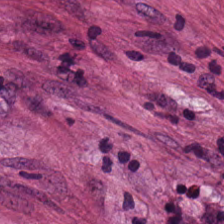Brightfield microscopy; H&E stain. Histology — tumor stroma.
